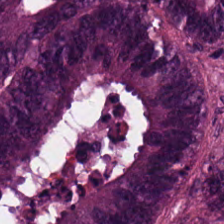H&E-stained tissue section. This patch shows tumor epithelium.
